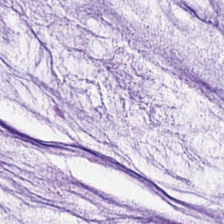20× equivalent magnification. Hematoxylin-and-eosin stained section. Predominantly mucin.
